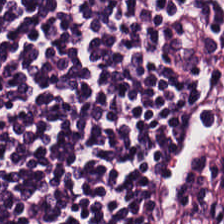20× equivalent magnification. Hematoxylin-and-eosin stained section. Impression → lymphocyte aggregate.
